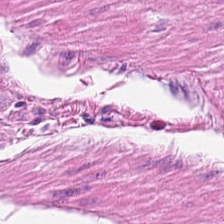Stain: H&E stain.
Tissue type: muscularis.
